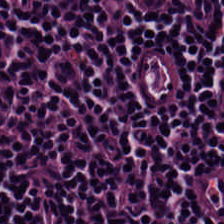Hematoxylin-and-eosin section: lymphocyte aggregate.
